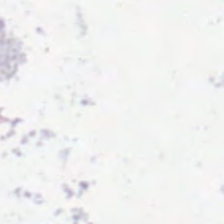H&E stain. 224×224 px tile. FFPE. The classification is background (no tissue).
